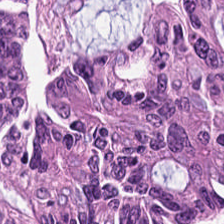The tissue here is adenocarcinoma.
